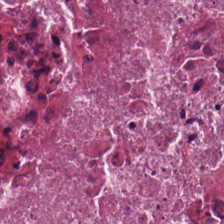WSI patch · hematoxylin-and-eosin stained section · formalin-fixed paraffin-embedded section.
The predominant tissue is debris.
